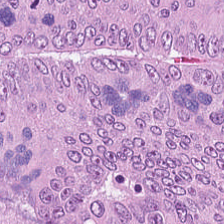H&E-stained section; the field shows tumor epithelium.
